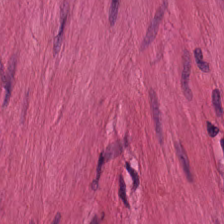Hematoxylin-and-eosin stained section — Muscularis.
